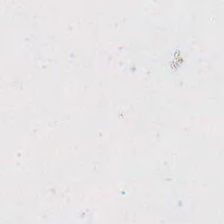H&E-stained tissue section.
Field content — empty background.
